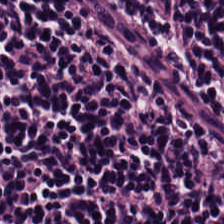H&E.
Histology → lymphocytic infiltrate.
